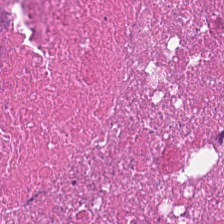Stain: H&E.
Preparation: formalin-fixed paraffin-embedded section.
Tile size: 224×224 pixel tile.
Predominant tissue: debris.
